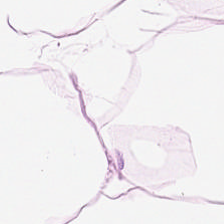Q: What is shown in this field?
A: Adipose.
